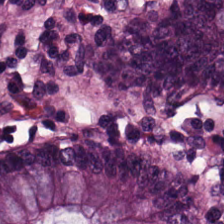H&E stain; FFPE tissue section.
This patch shows non-neoplastic colon mucosa.
